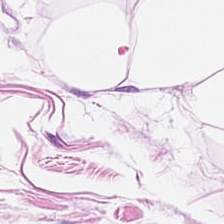Hematoxylin and eosin · whole-slide-image patch — Predominantly fat tissue.
